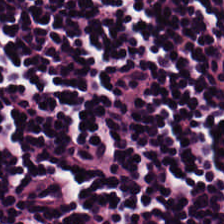224×224 pixel tile · H&E. Showing lymphocytic infiltrate.
